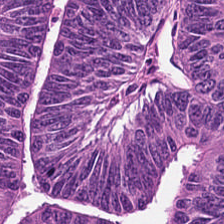Hematoxylin-and-eosin stained section · 0.5 µm per pixel — Tissue class — adenocarcinoma.
